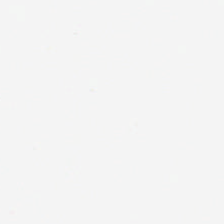H&E-stained tissue section.
Field content = no tissue.
